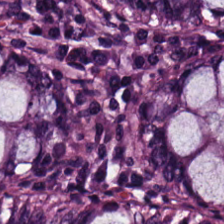H&E-stained tissue section — Predominant tissue — benign colonic mucosa.
